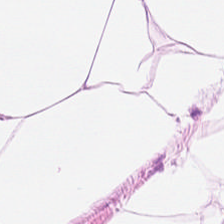Brightfield. H&E.
{"tissue_type": "adipocytes"}
